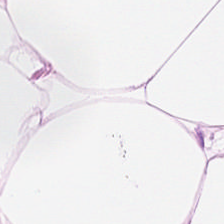H&E — Q: Classify this patch.
A: The field shows adipose.
